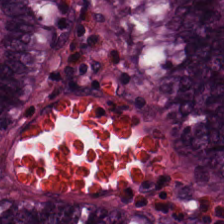Stain: H&E stain.
Preparation: formalin-fixed paraffin-embedded section.
Tile size: 224×224 px tile.
Tissue type: non-neoplastic colon mucosa.
